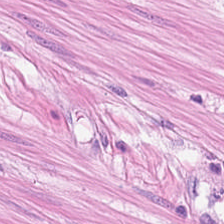H&E — smooth muscle.
